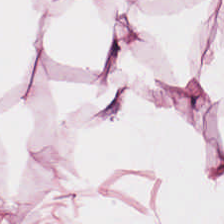H&E stain. Tissue class = fat tissue.
